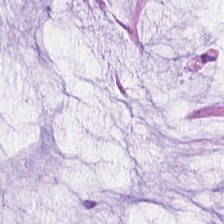Hematoxylin-and-eosin stained section — This patch shows extracellular mucin.
